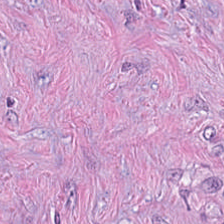Stain: H&E.
Tissue class: cancer-associated stroma.
